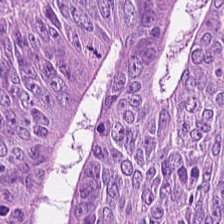H&E-stained tissue section. This patch shows colorectal adenocarcinoma epithelium.
